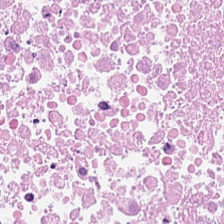Stain: hematoxylin-and-eosin stained section.
Tissue: cellular debris.
